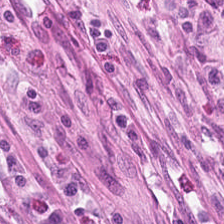Hematoxylin-and-eosin stained section · 224×224 px tile — Histology → normal colonic mucosa.
